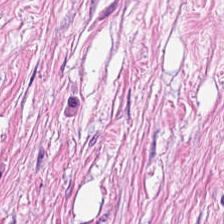Stain: H&E.
Classification: tumor-associated stroma.
